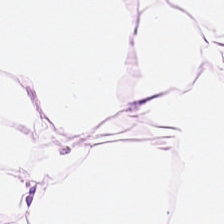Hematoxylin-and-eosin stained section · 224×224 pixel tile — This field is adipose tissue.
